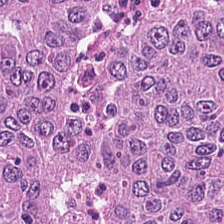Hematoxylin-and-eosin stained section. Predominant tissue — malignant epithelium.
